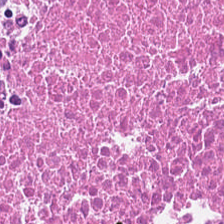Stain: H&E stain.
Classification: debris.
